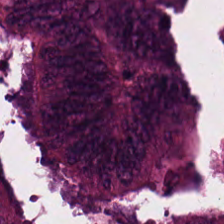H&E-stained tissue section — This patch shows tumor epithelium.
